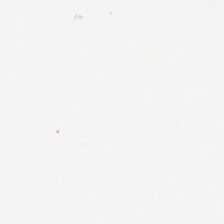H&E — No tissue present; background only.
